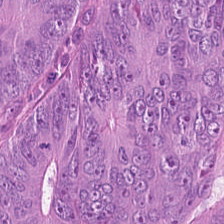Tissue class: colorectal adenocarcinoma epithelium.
